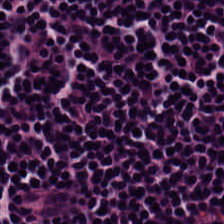Stain: H&E.
Predominant tissue: lymphoid infiltrate.
